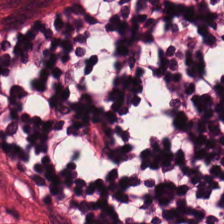Stain: H&E-stained tissue section.
Tissue: lymphocytes.
